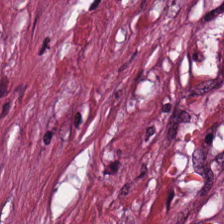Hematoxylin-and-eosin stained section — The tissue here is tumor stroma.
